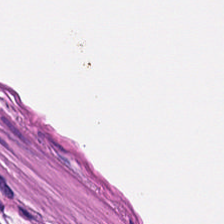Brightfield. Hematoxylin and eosin.
Tissue = smooth-muscle tissue.
